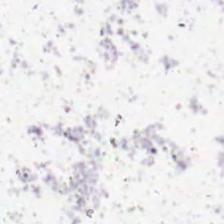H&E stain — {"content": "empty background"}
